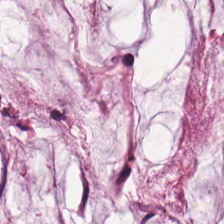H&E — Impression → mucin.
